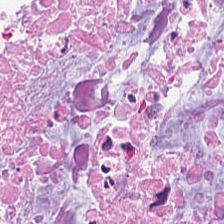Hematoxylin-and-eosin stained section.
Tissue class: cellular debris.
